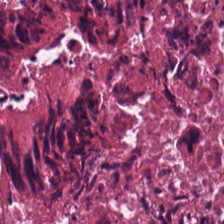Hematoxylin and eosin. FFPE tissue section — Impression → cellular debris.
